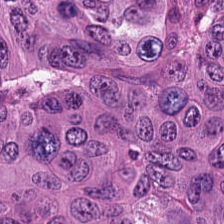Hematoxylin-and-eosin stained section. 224×224 px patch.
Tissue type = adenocarcinoma.
